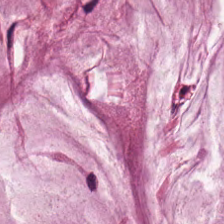H&E. Mucus.
